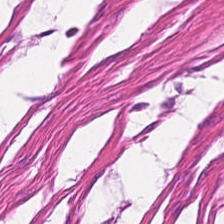Whole-slide-image patch; hematoxylin and eosin. Histology — muscularis.
